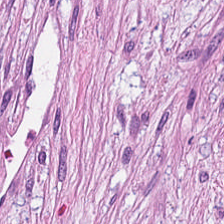Stain: hematoxylin-and-eosin stained section.
Resolution: 0.5 microns per pixel.
Tissue: desmoplastic stroma.
